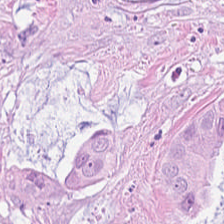H&E stain. This field is adenocarcinoma.
